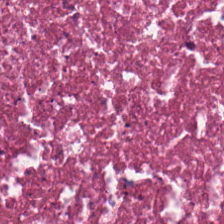Hematoxylin and eosin.
This field is necrotic debris.
